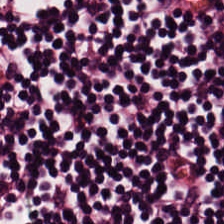H&E; 20× equivalent magnification; FFPE tissue section — Tissue class = lymphocyte aggregate.
